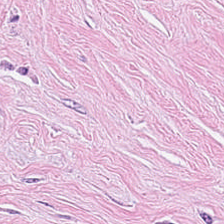This patch shows tumor-associated stroma.
